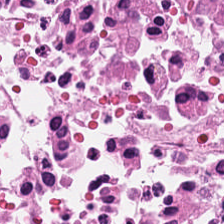H&E-stained tissue section; brightfield; 224×224 px tile — The tissue here is cellular debris.
